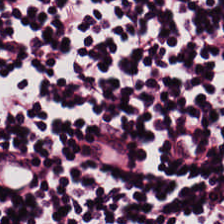H&E-stained tissue section; 224×224 px patch. This patch shows lymphocytic infiltrate.
